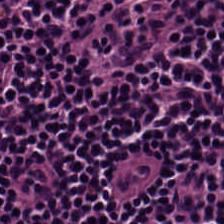H&E stain. This field is lymphocyte aggregate.
